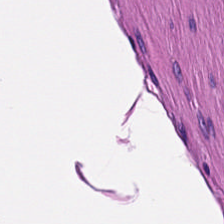Stain: H&E.
Tissue class: muscularis.
